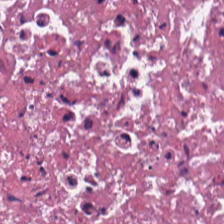Formalin-fixed paraffin-embedded section · 20× equivalent magnification · H&E-stained tissue section — This field is debris.
